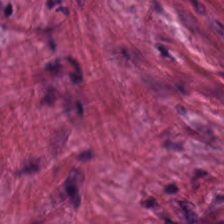Stain: H&E.
Predominant tissue: cancer-associated stroma.
